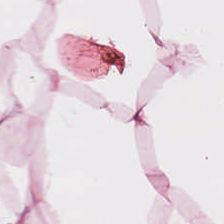Histology — adipocytes.
